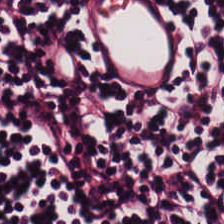H&E. This field is lymphocytic infiltrate.
